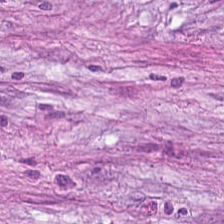Hematoxylin-and-eosin stained section — Tissue — desmoplastic stroma.
